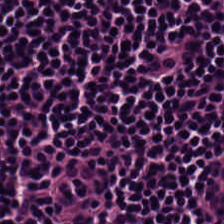H&E stain. The tissue class is lymphocytes.
